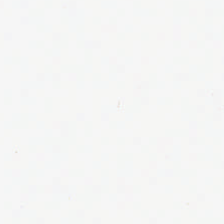Stain: hematoxylin and eosin.
Preparation: formalin-fixed paraffin-embedded section.
Tile size: 224×224 px patch.
Field content: empty background.
